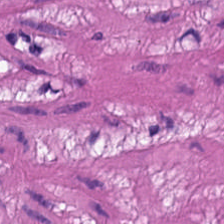FFPE tissue section. H&E-stained tissue section — Predominant tissue — smooth muscle.
